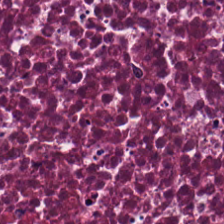Hematoxylin and eosin — Classification: necrotic debris.
